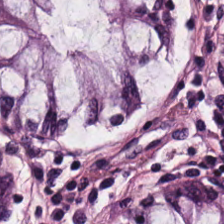Brightfield. Hematoxylin and eosin. 20× equivalent magnification — This patch shows normal colon mucosa.
